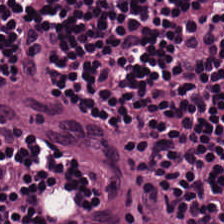Stain: H&E.
Predominant tissue: lymphocytes.
